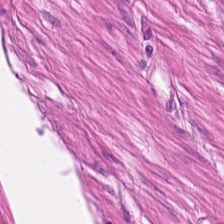Whole-slide-image patch; hematoxylin-and-eosin stained section — Q: Identify the tissue.
A: This is smooth-muscle tissue.
